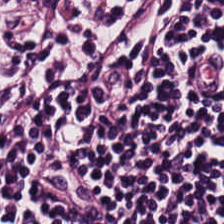{"tissue_type": "lymphocyte aggregate"}
